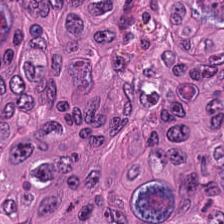224×224 px patch; H&E-stained tissue section; WSI patch.
Q: Identify the tissue.
A: This is tumor epithelium.
